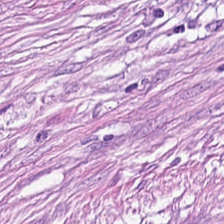Stain: H&E-stained tissue section.
Tissue class: desmoplastic stroma.
